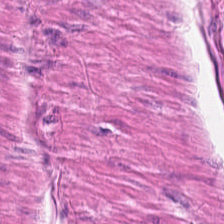Hematoxylin-and-eosin stained section. Impression — smooth muscle.
